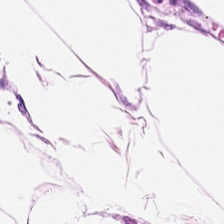Stain: H&E.
Resolution: 0.5 µm per pixel.
Classification: adipocytes.
